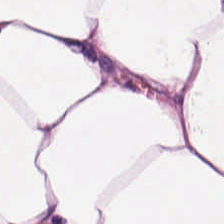H&E-stained tissue section · 224×224 pixel tile. Tissue type — adipose.
